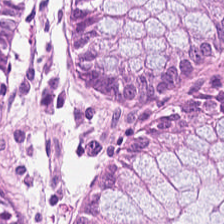20× equivalent magnification; hematoxylin-and-eosin stained section — Predominant tissue = normal colon mucosa.
